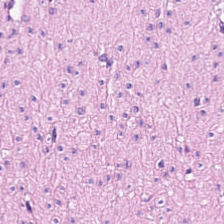Stain: H&E stain.
Classification: smooth-muscle tissue.
